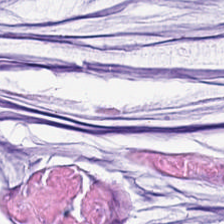Stain: hematoxylin-and-eosin stained section.
Acquisition: brightfield.
Resolution: 0.5 µm/px.
Tissue: mucin.
